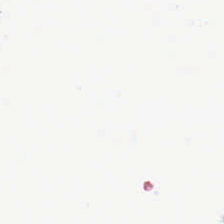Brightfield microscopy; hematoxylin-and-eosin stained section; formalin-fixed paraffin-embedded section.
Field content — empty background.
